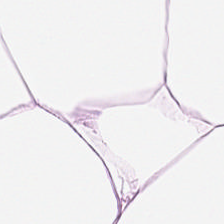H&E stain. Formalin-fixed paraffin-embedded section. 0.5 µm per pixel — Q: Classify this patch.
A: This is adipose.
